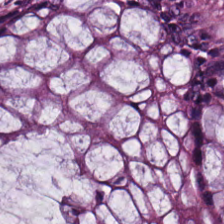H&E-stained tissue section · 20× equivalent magnification — Tissue class: normal colon mucosa.
